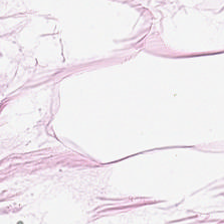FFPE; hematoxylin and eosin — The predominant tissue is adipocytes.
